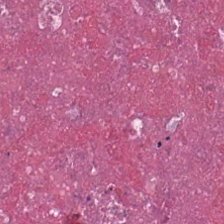Brightfield; H&E stain — Tissue type — necrotic debris.
